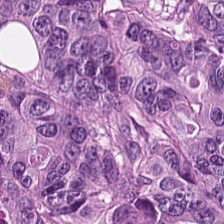Hematoxylin and eosin.
Q: What is shown here?
A: The field shows colorectal adenocarcinoma.
